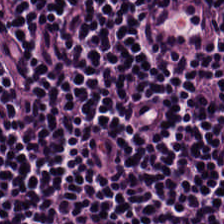FFPE tissue section. Hematoxylin-and-eosin stained section.
{"tissue_type": "lymphoid infiltrate"}
